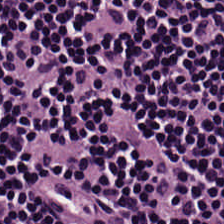Hematoxylin and eosin · WSI patch — Classification: lymphocyte aggregate.
